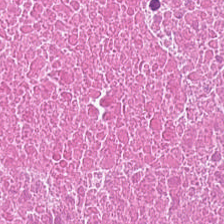H&E stain; 224×224 px patch; whole-slide-image patch — {"tissue_type": "cellular debris"}
